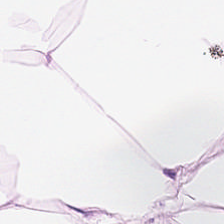FFPE tissue section; hematoxylin and eosin; 224×224 px tile. This patch shows adipose.
